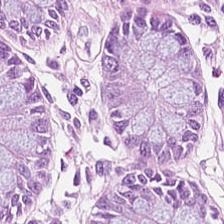Stain: hematoxylin-and-eosin stained section.
Tile size: 224×224 pixel tile.
Predominant tissue: non-neoplastic colon mucosa.
